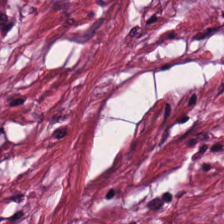H&E-stained tissue section — {"tissue_type": "desmoplastic stroma"}
